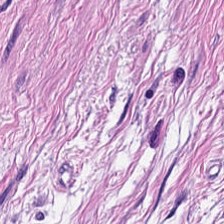0.5 microns per pixel · H&E stain.
{"tissue_type": "smooth muscle"}
